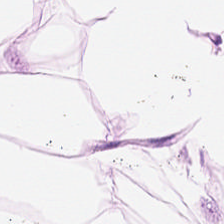20× equivalent magnification. H&E-stained tissue section. FFPE. Predominantly adipose tissue.
